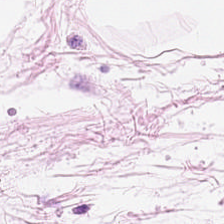The tissue here is adipocytes.
